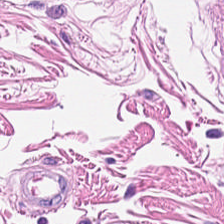H&E stain. Smooth-muscle tissue.
